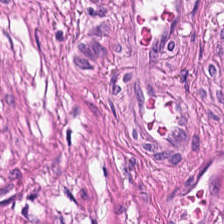224×224 px patch. H&E stain — Q: What tissue type is shown here?
A: This is smooth-muscle tissue.
